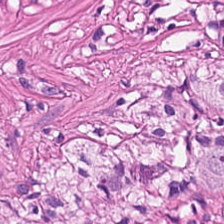Hematoxylin and eosin. Q: Identify the tissue.
A: The field shows muscularis.
